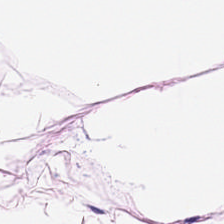H&E stain — Predominant tissue: adipose tissue.
